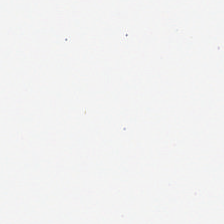224×224 px tile · WSI patch · hematoxylin and eosin.
Histology → background (no tissue).
